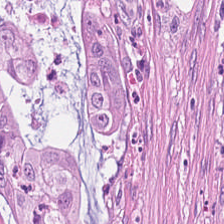Tissue — tumor-associated stroma.
